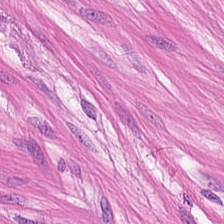Hematoxylin-and-eosin stained section — Tissue — smooth muscle.
